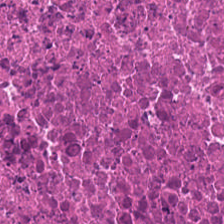FFPE tissue section. WSI patch. H&E-stained tissue section — Impression → cellular debris.
